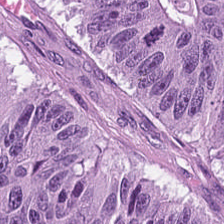Hematoxylin-and-eosin section: adenocarcinoma.
